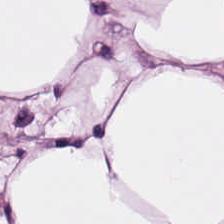Hematoxylin and eosin.
Q: What does this patch show?
A: This is adipose.
